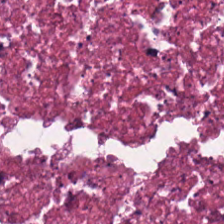Hematoxylin-and-eosin stained section · whole-slide-image patch. Debris.
